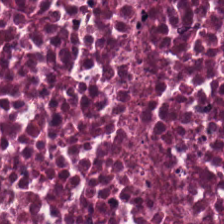H&E-stained tissue section; whole-slide-image patch — Predominant tissue = cellular debris.
